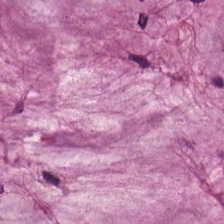Q: What is shown in this field?
A: This is mucin.
